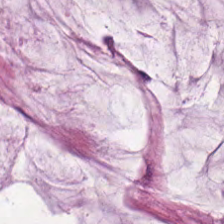FFPE tissue section · H&E-stained tissue section · brightfield microscopy.
Finding → mucus.
